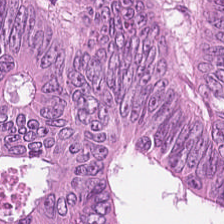Hematoxylin and eosin.
Malignant epithelium.
